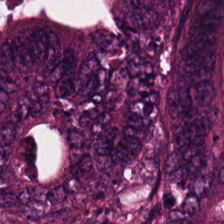Predominant tissue: tumor epithelium.
